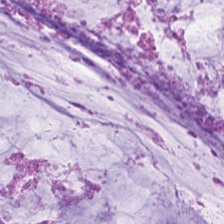224×224 px tile; 0.5 µm/px; H&E-stained tissue section. Q: Classify this patch.
A: It is extracellular mucin.
